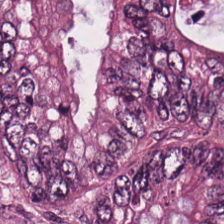Q: Identify the tissue.
A: This is tumor epithelium.
